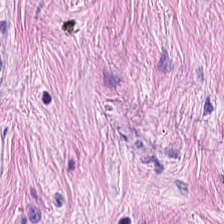Hematoxylin-and-eosin stained section. {"tissue_type": "tumor-associated stroma"}
